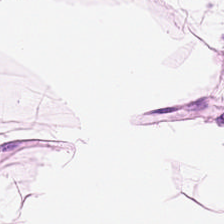This field is fat tissue.
